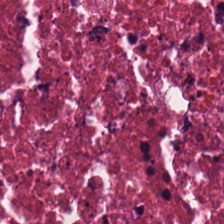Hematoxylin and eosin. Histology — cellular debris.
